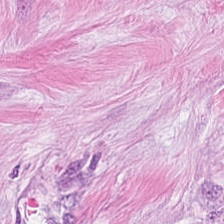Hematoxylin-and-eosin stained section. 224×224 px tile. 0.5 µm per pixel.
This patch shows tumor-associated stroma.
